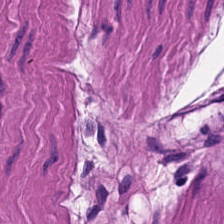Hematoxylin-and-eosin stained section; whole-slide-image patch.
Tissue class: smooth muscle.
